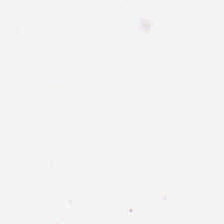H&E.
Field content — background.
